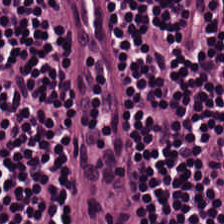Brightfield · H&E stain.
This patch shows lymphocytic infiltrate.
